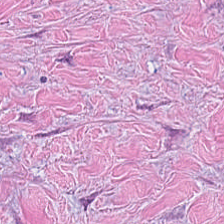Hematoxylin-and-eosin stained section; 224×224 px patch; WSI patch. The tissue here is desmoplastic stroma.
